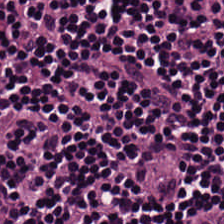H&E stain — Q: What does this patch show?
A: The field shows lymphocyte aggregate.
